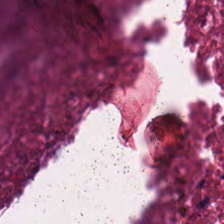20× equivalent magnification. H&E.
Showing necrotic debris.
